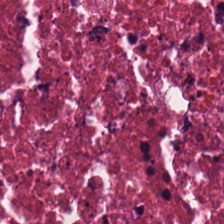H&E-stained tissue section — The tissue here is cellular debris.
